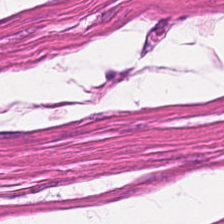Brightfield · 0.5 µm per pixel · H&E stain — Tissue type: muscularis.
